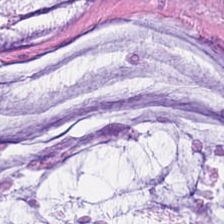Q: What tissue type is shown here?
A: This is extracellular mucin.
